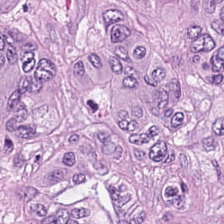H&E. This field is tumor epithelium.
